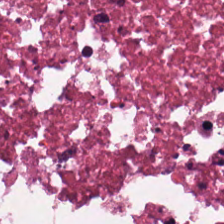H&E stain. 0.5 microns per pixel. The tissue type is necrotic debris.
